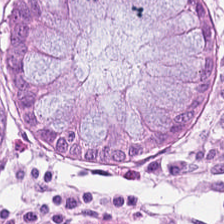Tissue type — benign colonic mucosa.
